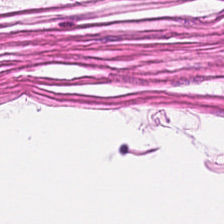H&E-stained tissue section; formalin-fixed paraffin-embedded section; whole-slide-image patch — The tissue class is smooth muscle.
